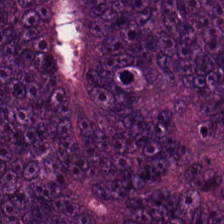Brightfield; H&E stain — The predominant tissue is adenocarcinoma.
